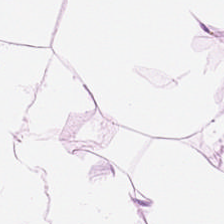H&E · 0.5 µm per pixel.
Showing adipocytes.
